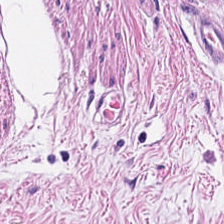H&E-stained tissue section — This field is muscularis.
